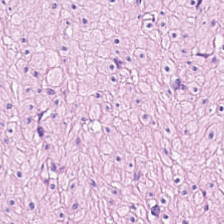0.5 microns per pixel · hematoxylin and eosin — Predominant tissue — smooth-muscle tissue.
